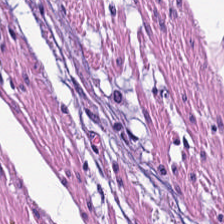Brightfield · hematoxylin and eosin.
Predominantly smooth-muscle tissue.
